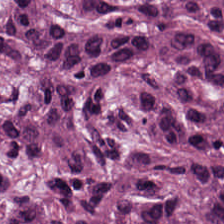224×224 px tile · H&E.
Q: What does this patch show?
A: It is colorectal adenocarcinoma epithelium.
